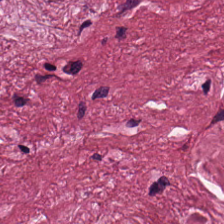Brightfield microscopy · hematoxylin-and-eosin stained section. Finding — cancer-associated stroma.
